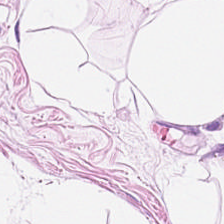Adipose.
